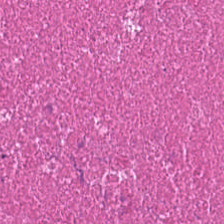224×224 px tile; H&E stain; formalin-fixed paraffin-embedded section. Tissue — cellular debris.
